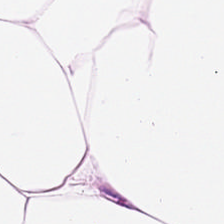Brightfield. Hematoxylin-and-eosin stained section — The predominant tissue is adipose.
